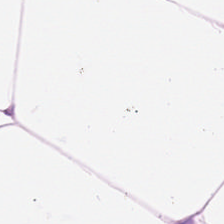Hematoxylin and eosin. 224×224 px patch.
The classification is adipose.
